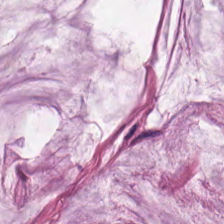0.5 µm per pixel; hematoxylin and eosin. The tissue here is extracellular mucin.
